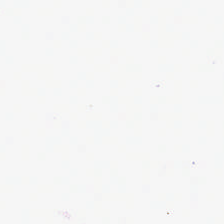Brightfield · H&E. Field content — background.
